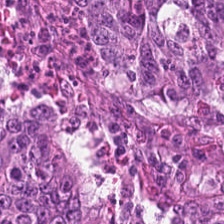H&E-stained tissue section. 224×224 px patch. Q: What is the predominant tissue type?
A: This is adenocarcinoma.
